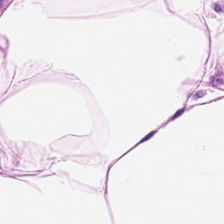Q: Identify the tissue.
A: The field shows fat tissue.
